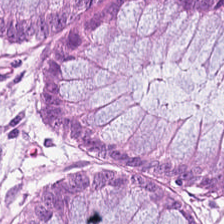Predominantly normal colon mucosa.
